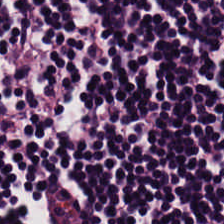0.5 µm per pixel · H&E.
The tissue class is lymphocytes.
